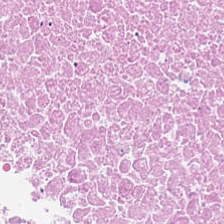Hematoxylin and eosin — This field is debris.
